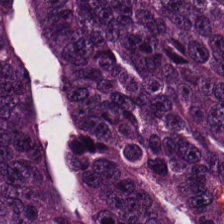Hematoxylin-and-eosin stained section; formalin-fixed paraffin-embedded section. Tissue class = tumor epithelium.
